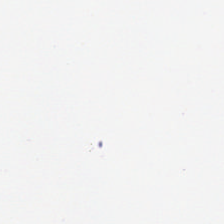Stain: H&E stain.
Classification: empty background.
